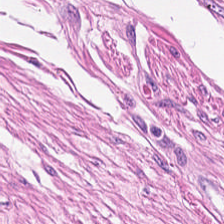Hematoxylin and eosin.
Tissue class — muscularis.
